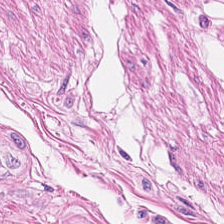224×224 pixel tile. H&E. FFPE tissue section. Tissue type = smooth muscle.
